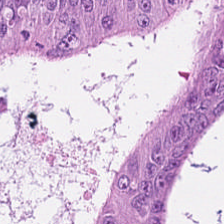H&E — Q: What is the predominant tissue type?
A: Tumor epithelium.
